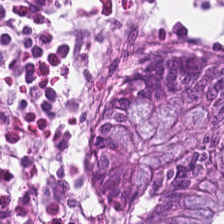Stain: hematoxylin-and-eosin stained section.
Tissue type: normal colonic mucosa.
